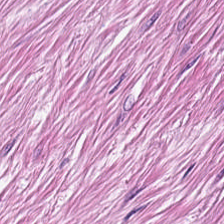H&E-stained tissue section. Classification = cancer-associated stroma.
